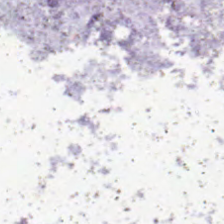Background — no tissue in this field.
